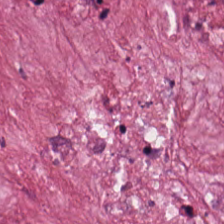FFPE tissue section · H&E. The tissue here is desmoplastic stroma.
